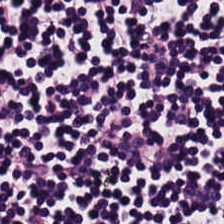Stain: hematoxylin and eosin.
Tissue class: lymphocytic infiltrate.
